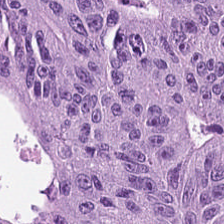Formalin-fixed paraffin-embedded section · 0.5 µm/px · H&E — The tissue here is malignant epithelium.
